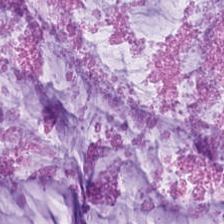H&E stain. This field is mucin.
